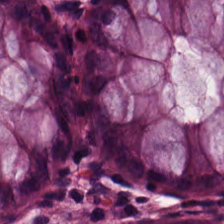Hematoxylin-and-eosin stained section · 0.5 µm/px · 224×224 px tile — Classification: normal colonic mucosa.
